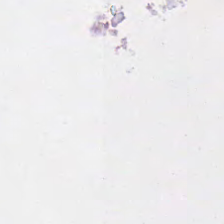Hematoxylin-and-eosin stained section. No tissue present; background only.
